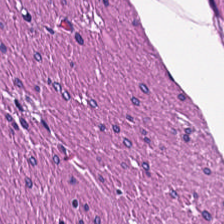Hematoxylin-and-eosin stained section. 224×224 px patch. 0.5 microns per pixel — Q: What tissue type is shown here?
A: Smooth muscle.
